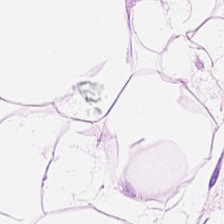224×224 px tile · H&E-stained tissue section. {"tissue_type": "adipose tissue"}
